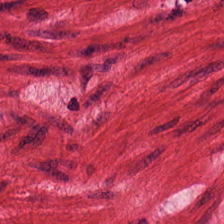Predominantly muscularis.
